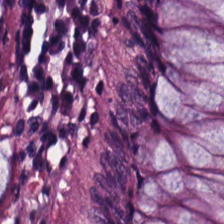H&E stain — Predominant tissue = normal colon mucosa.
